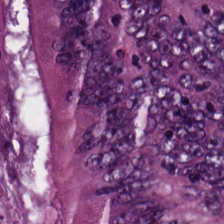H&E-stained section; the field shows colorectal adenocarcinoma epithelium.
